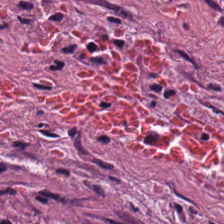H&E stain · FFPE tissue section · 20× equivalent magnification.
Impression → cancer-associated stroma.
